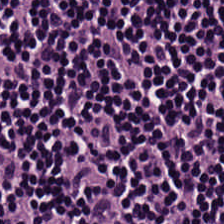Stain: hematoxylin-and-eosin stained section.
Resolution: 0.5 µm per pixel.
Classification: lymphocytic infiltrate.
